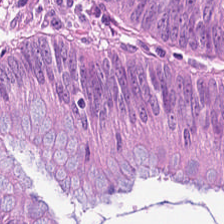This field is tumor epithelium.
